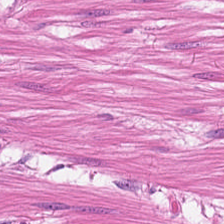H&E.
Q: What type of tissue is this?
A: It is smooth-muscle tissue.
